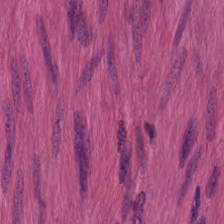Smooth-muscle tissue.
